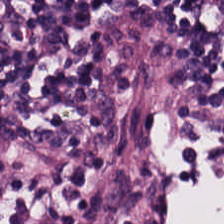Hematoxylin-and-eosin stained section.
This field is lymphocyte aggregate.
